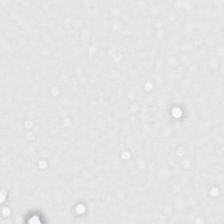{"content": "no tissue"}
